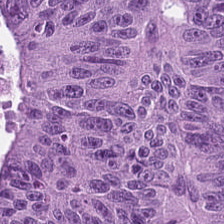H&E stain · FFPE — Tissue type = colorectal adenocarcinoma.
